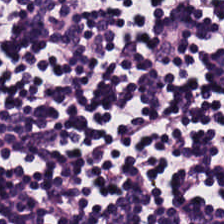Predominantly lymphocytes.
